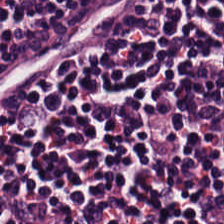H&E-stained tissue section showing lymphocyte aggregate.
